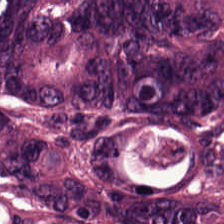224×224 px patch; H&E; 0.5 microns per pixel.
Predominantly malignant epithelium.
